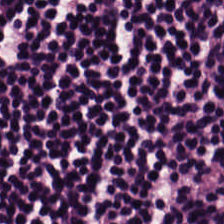Hematoxylin-and-eosin stained section. {"tissue_type": "lymphocytic infiltrate"}
